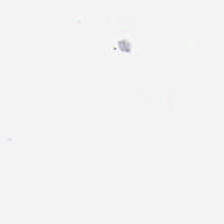Q: What does this patch show?
A: It is empty background.
